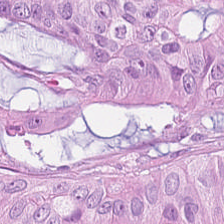Hematoxylin-and-eosin stained section; FFPE tissue section; 224×224 px tile — Tissue — adenocarcinoma.
